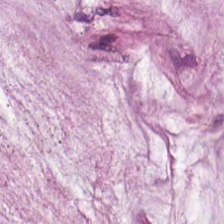H&E stain.
Finding → extracellular mucin.
